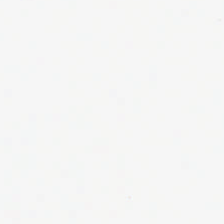H&E-stained tissue section. 0.5 microns per pixel. The content is background.
